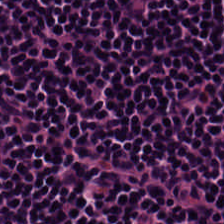Q: What tissue is shown?
A: Lymphocyte aggregate.
